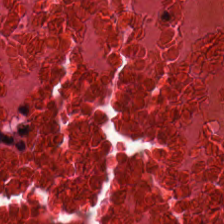This field is necrotic debris.
